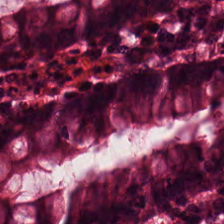Stain: hematoxylin-and-eosin stained section.
Classification: non-neoplastic colon mucosa.
